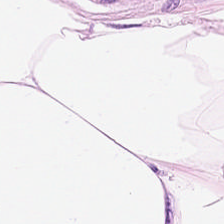224×224 pixel tile; H&E.
Tissue — adipose tissue.
